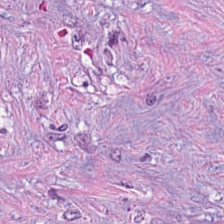Q: What is shown here?
A: The field shows tumor-associated stroma.
